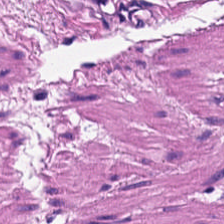Formalin-fixed paraffin-embedded section; hematoxylin and eosin — Predominant tissue = smooth-muscle tissue.
